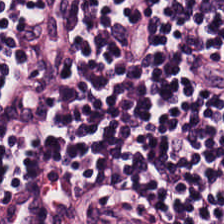Hematoxylin and eosin. WSI patch — Predominantly lymphocyte aggregate.
